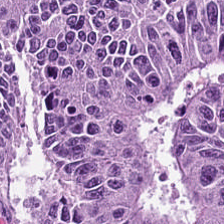FFPE; hematoxylin-and-eosin stained section; brightfield microscopy.
Finding — colorectal adenocarcinoma.
